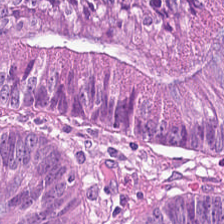Stain: hematoxylin and eosin.
Tissue class: colorectal adenocarcinoma.
